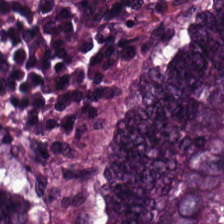224×224 px patch; formalin-fixed paraffin-embedded section; hematoxylin and eosin.
The tissue here is colorectal adenocarcinoma epithelium.
